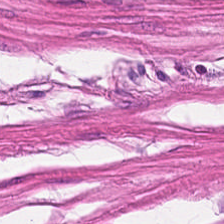H&E — This patch shows smooth-muscle tissue.
